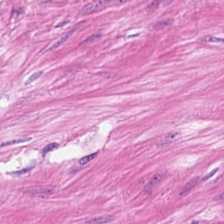H&E-stained tissue section — Classification: muscularis.
